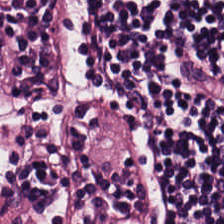Tissue type — lymphoid infiltrate.
